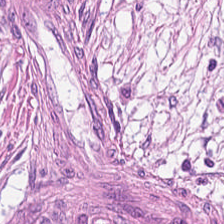FFPE · 0.5 µm per pixel · H&E.
Histology — desmoplastic stroma.
